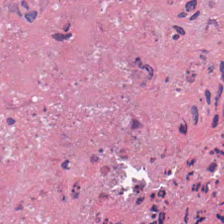Stain: hematoxylin and eosin.
Tile size: 224×224 pixel tile.
Predominant tissue: necrotic debris.
